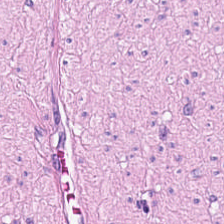H&E.
Predominant tissue — smooth muscle.
